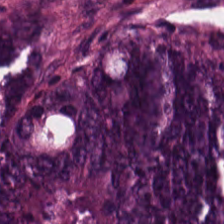Hematoxylin and eosin — The predominant tissue is colorectal adenocarcinoma.
